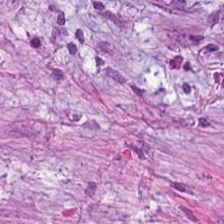H&E stain.
Predominant tissue = tumor stroma.
